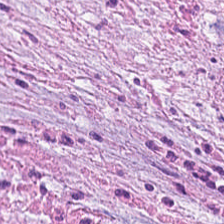H&E.
Predominantly desmoplastic stroma.
